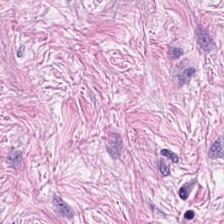Brightfield microscopy; H&E-stained tissue section. Tissue type: cancer-associated stroma.
